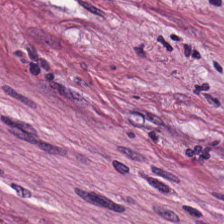The predominant tissue is tumor-associated stroma.
